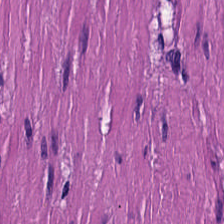Hematoxylin and eosin.
Q: Identify the tissue.
A: Smooth muscle.
